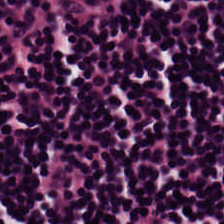0.5 microns per pixel; H&E-stained tissue section. The predominant tissue is lymphoid infiltrate.
